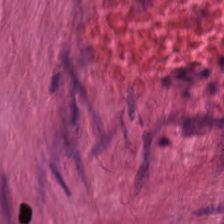Predominant tissue = smooth-muscle tissue.
